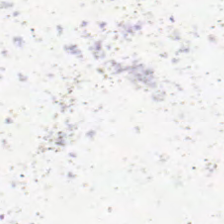H&E-stained tissue section · brightfield. Empty field — background.
